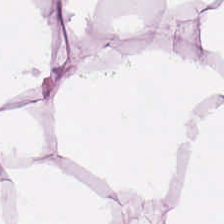Stain: H&E-stained tissue section.
Resolution: 0.5 µm per pixel.
Acquisition: brightfield.
Tissue: fat tissue.
